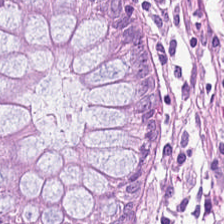Hematoxylin-and-eosin stained section — This patch shows non-neoplastic colon mucosa.
